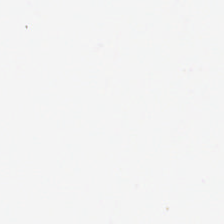Empty field — no tissue.
